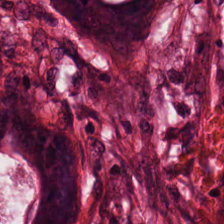The tissue type is tumor epithelium.
